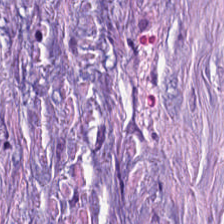H&E-stained tissue section — The predominant tissue is desmoplastic stroma.
